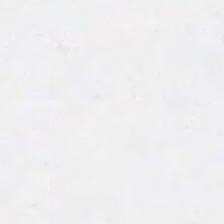Finding → background (no tissue).
